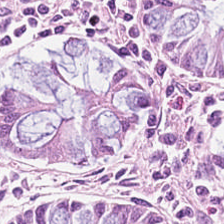Hematoxylin and eosin.
The tissue class is non-neoplastic colon mucosa.
